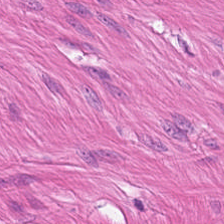H&E patch showing smooth muscle.
